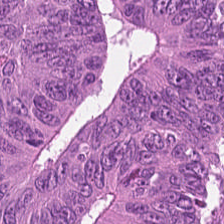FFPE; H&E-stained tissue section; whole-slide-image patch.
The predominant tissue is adenocarcinoma.
